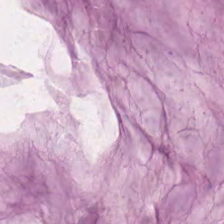Hematoxylin-and-eosin section: mucin.
